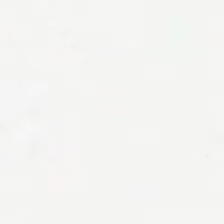Background — no tissue in this field.
